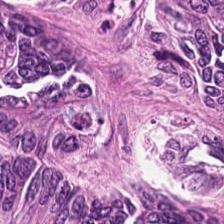FFPE · hematoxylin and eosin · brightfield — Showing adenocarcinoma.
